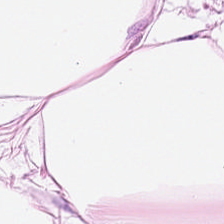Stain: H&E stain.
Classification: adipose tissue.
